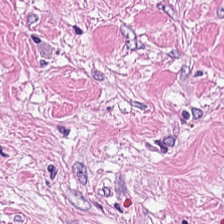0.5 microns per pixel · H&E.
Cancer-associated stroma.
